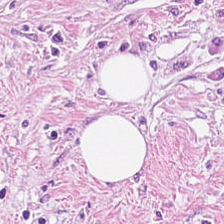H&E.
Desmoplastic stroma.
